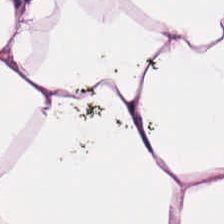Hematoxylin and eosin.
The tissue here is adipocytes.
